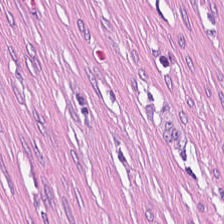The tissue here is desmoplastic stroma.
